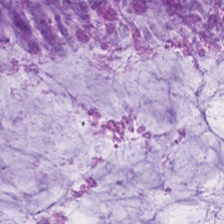H&E-stained tissue section. Q: What is the predominant tissue type?
A: It is mucin.
